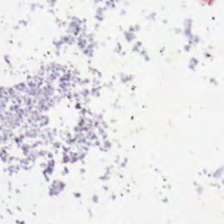No tissue present; background only.
